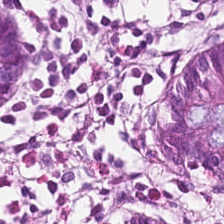Non-neoplastic colon mucosa.
